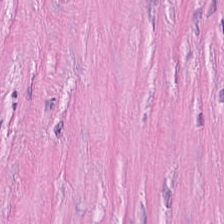Hematoxylin and eosin; 0.5 microns per pixel.
Classification — tumor stroma.
